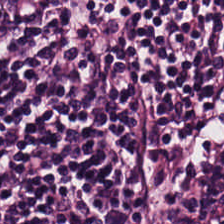H&E patch showing lymphoid infiltrate.
